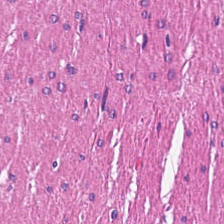Classification — muscularis.
